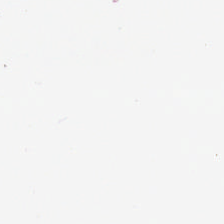Stain: hematoxylin and eosin.
Classification: empty background.
